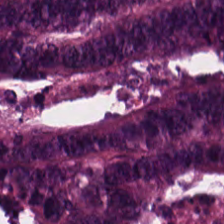224×224 pixel tile. 0.5 µm per pixel. Hematoxylin-and-eosin stained section.
{"tissue_type": "colorectal adenocarcinoma"}
